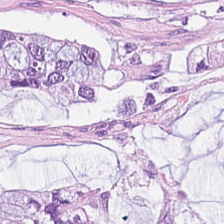Finding → extracellular mucin.
